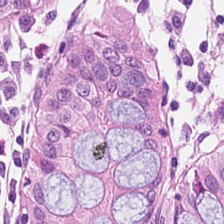0.5 microns per pixel. H&E stain. FFPE — Normal colon mucosa.
